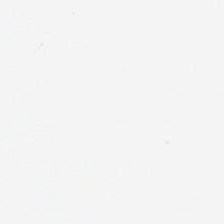Hematoxylin and eosin.
The content is background.
